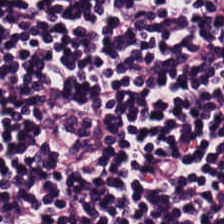Stain: hematoxylin and eosin.
Acquisition: brightfield microscopy.
Tile size: 224×224 pixel tile.
Tissue type: lymphoid infiltrate.
